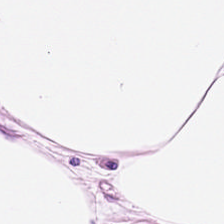Adipose tissue.
